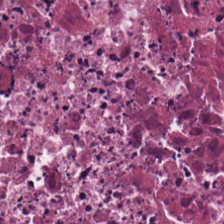H&E stain.
Predominantly cellular debris.
